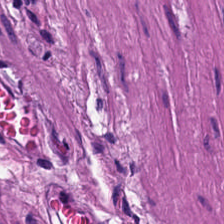Stain: hematoxylin and eosin.
Tissue: smooth-muscle tissue.
